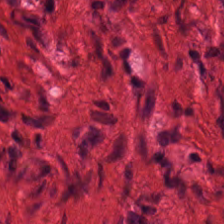Hematoxylin-and-eosin stained section. Classification = muscularis.
